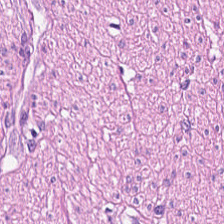Showing smooth muscle.
